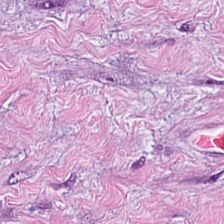Q: What is the predominant tissue type?
A: This is tumor stroma.
